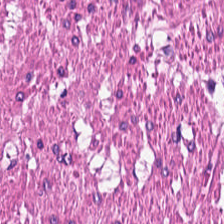Tissue = muscularis.
